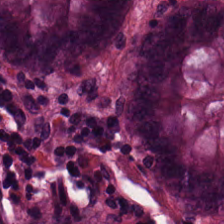224×224 px tile. Hematoxylin and eosin. Predominantly non-neoplastic colon mucosa.
